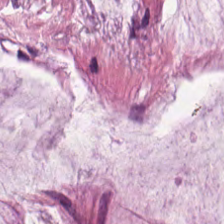Mucus.
